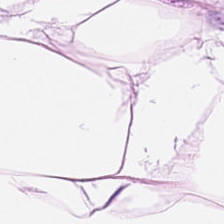Classification — adipose.
